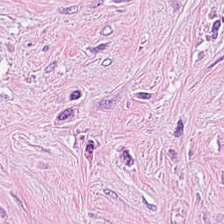The predominant tissue is tumor-associated stroma.
